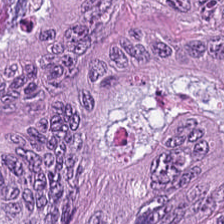Colorectal adenocarcinoma.
